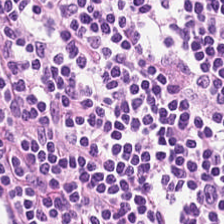Stain: hematoxylin and eosin.
Classification: lymphocytes.
